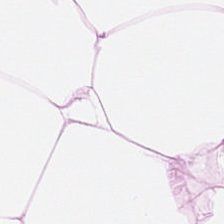H&E-stained tissue section — Finding → adipocytes.
